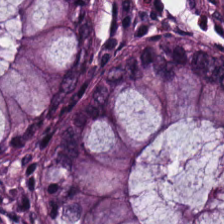The predominant tissue is non-neoplastic colon mucosa.
